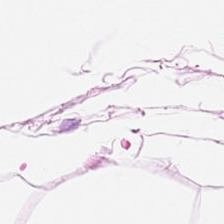H&E.
Tissue class — adipose.
